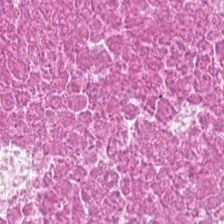H&E-stained tissue section — Histology — debris.
